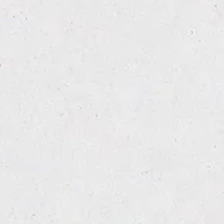224×224 pixel tile; hematoxylin and eosin; brightfield.
Content — background.
